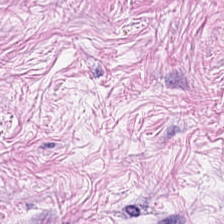0.5 µm/px. FFPE. H&E stain.
Predominant tissue = tumor stroma.
